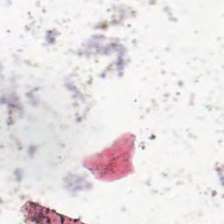Q: What is shown in this field?
A: This is no tissue.
